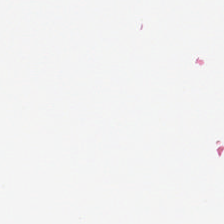H&E stain; 20× equivalent magnification.
Q: What is shown in this field?
A: Empty background.
